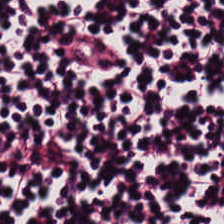H&E-stained tissue section; 0.5 microns per pixel. Tissue type: lymphoid infiltrate.
